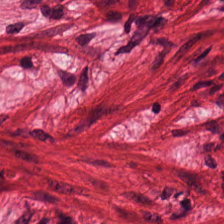H&E. FFPE tissue section. {"tissue_type": "muscularis"}
